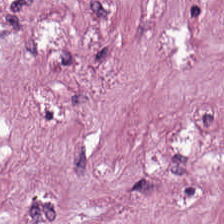H&E-stained tissue section; 0.5 µm per pixel. The predominant tissue is tumor stroma.
